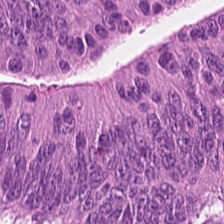This field is malignant epithelium.
